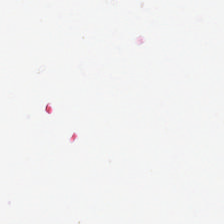Hematoxylin-and-eosin stained section — Q: What does this patch show?
A: The field shows no tissue.
